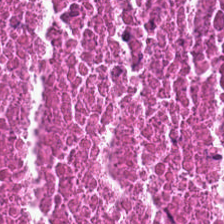Hematoxylin-and-eosin stained section. Classification — necrotic debris.
